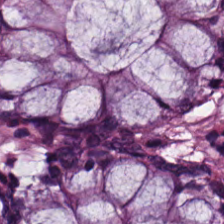0.5 µm/px. Hematoxylin and eosin.
Classification = benign colonic mucosa.
